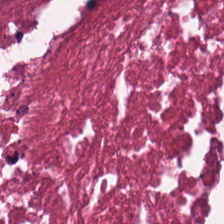H&E-stained section; the field shows debris.
